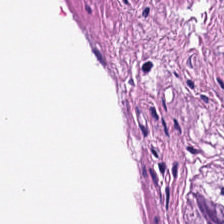H&E. Impression → smooth-muscle tissue.
